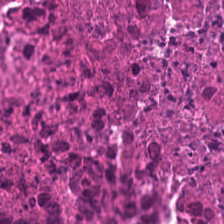H&E.
This field is necrotic debris.
